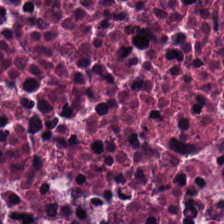This field is debris.
